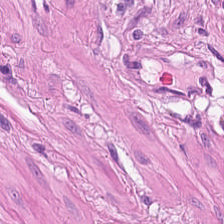H&E-stained tissue section — Finding → muscularis.
